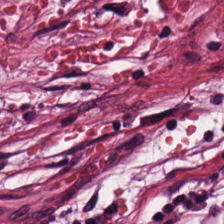Showing tumor-associated stroma.
